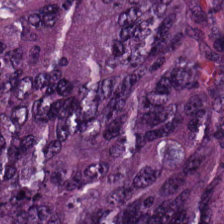Colorectal adenocarcinoma epithelium.
